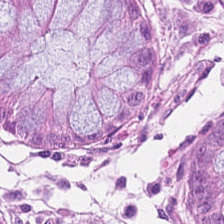Stain: hematoxylin and eosin.
Tile size: 224×224 px tile.
Preparation: FFPE tissue section.
Tissue type: non-neoplastic colon mucosa.
